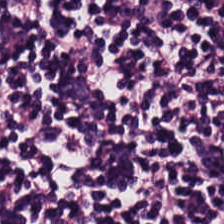Hematoxylin and eosin · brightfield microscopy — This patch shows lymphocytes.
